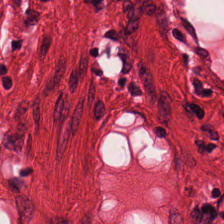H&E. Impression → smooth muscle.
